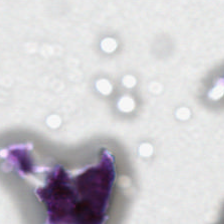Q: Classify this patch.
A: The field shows empty background.
